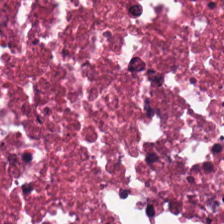Hematoxylin and eosin — Q: What tissue type is shown here?
A: The field shows debris.
